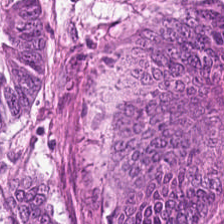Q: What is shown here?
A: The field shows malignant epithelium.
